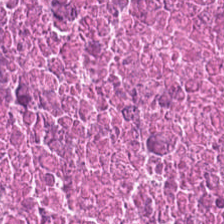H&E stain. Cellular debris.
